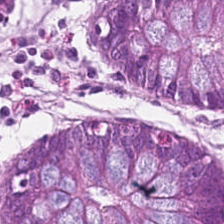Q: What tissue type is shown here?
A: This is normal colon mucosa.
